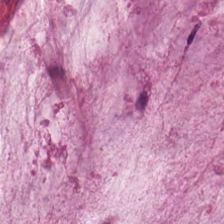Stain: H&E.
Preparation: FFPE.
Classification: mucus.
